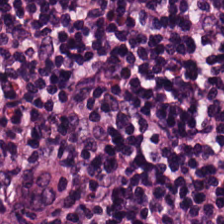224×224 pixel tile; hematoxylin and eosin; whole-slide-image patch — {"tissue_type": "lymphocytes"}
